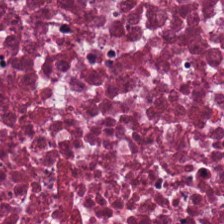H&E stain. Q: Identify the tissue.
A: This is debris.
